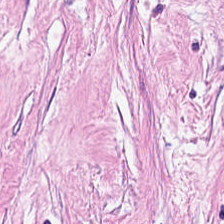Predominant tissue: tumor-associated stroma.
